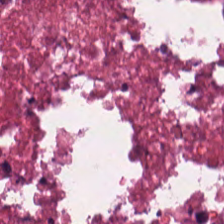Cellular debris.
